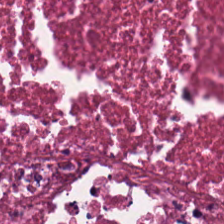224×224 px tile; H&E stain — Predominantly necrotic debris.
